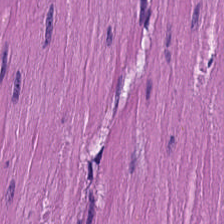Hematoxylin and eosin.
Predominantly muscularis.
